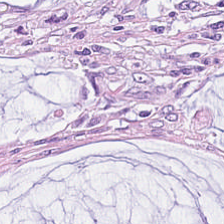Tissue — mucus.
